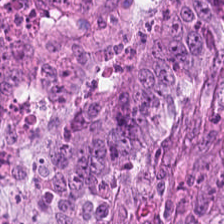224×224 px patch · hematoxylin-and-eosin stained section · FFPE tissue section.
Histology → colorectal adenocarcinoma epithelium.
